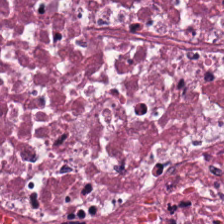H&E — Predominantly cellular debris.
